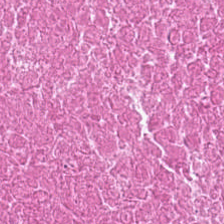Stain: H&E.
Tissue class: cellular debris.
